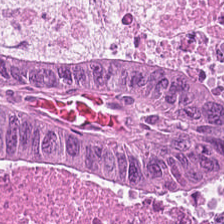H&E stain. FFPE tissue section — Predominant tissue: malignant epithelium.
